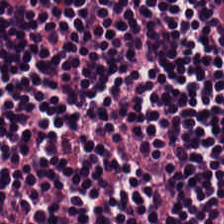H&E-stained tissue section. 0.5 µm per pixel.
Tissue class — lymphocytes.
